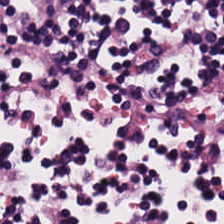Showing lymphocytic infiltrate.
